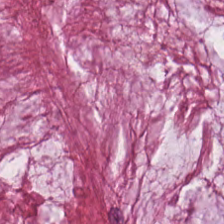H&E-stained tissue section.
Q: What tissue is shown?
A: Mucus.
